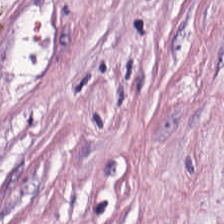Whole-slide-image patch; H&E-stained tissue section — Q: What tissue is shown?
A: It is tumor-associated stroma.
